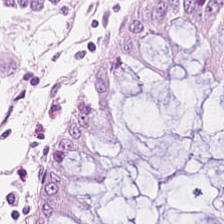Whole-slide-image patch. H&E stain — Impression → normal colonic mucosa.
